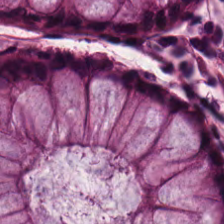Hematoxylin and eosin; 0.5 µm/px — Classification — normal colonic mucosa.
